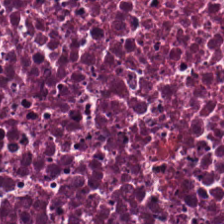Finding — debris.
